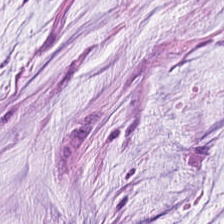H&E stain — Mucin.
